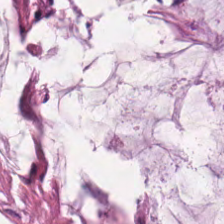Hematoxylin and eosin · FFPE. Mucin.
